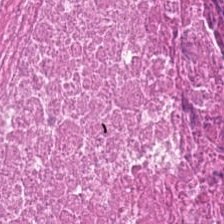Hematoxylin and eosin. Q: What is shown in this field?
A: Cellular debris.
